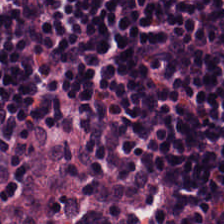Hematoxylin-and-eosin stained section. Q: What is shown in this field?
A: Lymphoid infiltrate.
